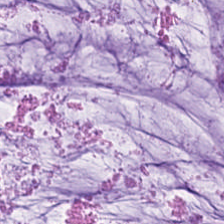0.5 µm/px; H&E-stained tissue section. Q: Classify this patch.
A: The field shows mucus.
